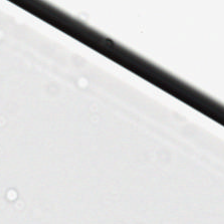Background.
